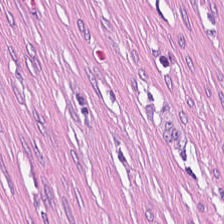Stain: H&E.
Classification: desmoplastic stroma.
